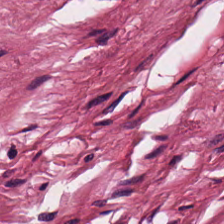Tissue class = tumor stroma.
